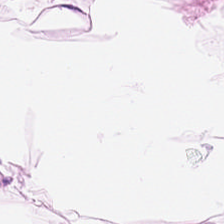Hematoxylin and eosin · 0.5 µm/px. Fat tissue.
